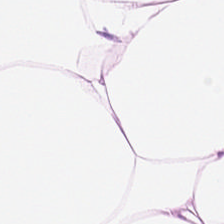Hematoxylin and eosin.
{"tissue_type": "adipocytes"}
